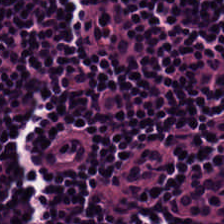Hematoxylin and eosin.
Predominantly lymphocytic infiltrate.
